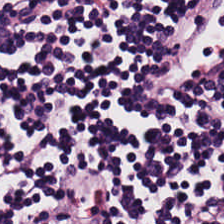Whole-slide-image patch · hematoxylin and eosin.
The predominant tissue is lymphocytes.
